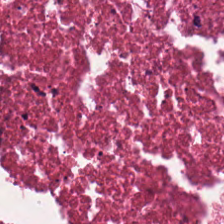Stain: H&E stain.
Classification: debris.
